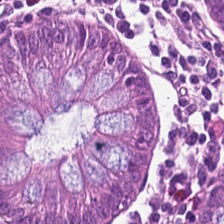H&E stain — The predominant tissue is normal colonic mucosa.
